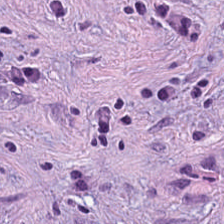224×224 px tile. H&E.
{"tissue_type": "tumor-associated stroma"}
